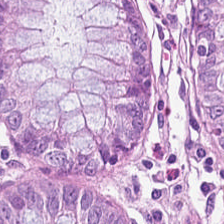Stain: H&E-stained tissue section.
Tile size: 224×224 px patch.
Acquisition: brightfield microscopy.
Tissue: benign colonic mucosa.
